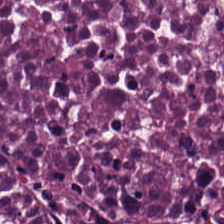224×224 px patch · hematoxylin and eosin · brightfield microscopy. Finding → cellular debris.
